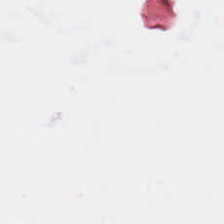Brightfield. Hematoxylin-and-eosin stained section — Content = no tissue.
